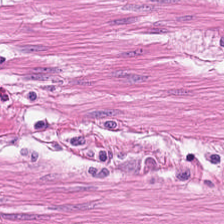Hematoxylin-and-eosin stained section.
Showing muscularis.
